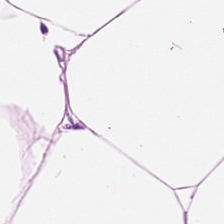H&E; formalin-fixed paraffin-embedded section. The tissue type is adipose tissue.
